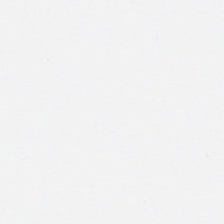H&E. The content is empty background.
